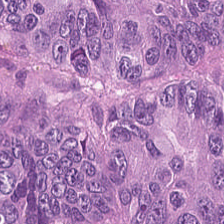H&E-stained tissue section. 0.5 µm per pixel — Q: Identify the tissue.
A: It is malignant epithelium.
